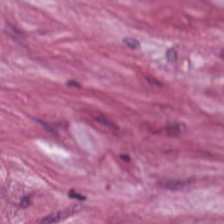FFPE tissue section · H&E · WSI patch.
Q: What is shown in this field?
A: The field shows tumor stroma.
